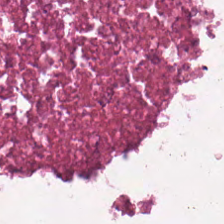H&E stain. This field is necrotic debris.
